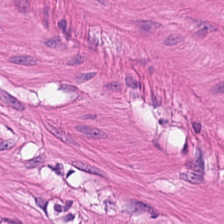Histology → smooth-muscle tissue.
